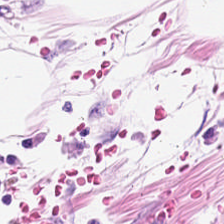H&E-stained tissue section.
Fat tissue.
